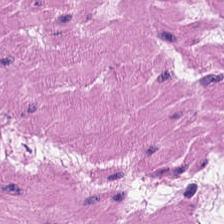H&E. Whole-slide-image patch.
Q: What tissue type is shown here?
A: Smooth muscle.
